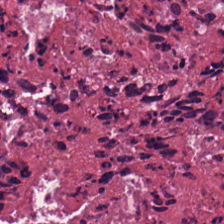Hematoxylin and eosin. This field is necrotic debris.
